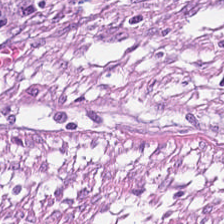224×224 px patch; H&E stain.
Predominantly tumor-associated stroma.
